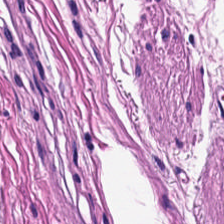Tissue class — smooth muscle.
